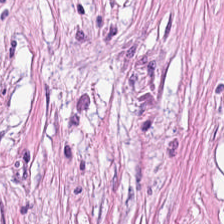Brightfield. H&E stain.
Showing tumor stroma.
